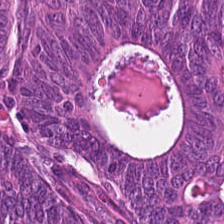H&E-stained tissue section — Finding — adenocarcinoma.
